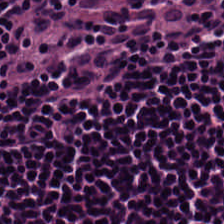Stain: hematoxylin and eosin.
Tile size: 224×224 px tile.
Preparation: FFPE.
Predominant tissue: lymphoid infiltrate.
